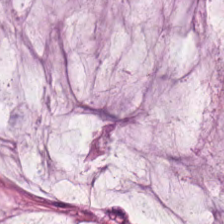H&E patch showing mucus.
